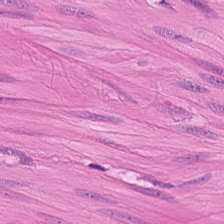Hematoxylin-and-eosin stained section. This patch shows smooth muscle.
